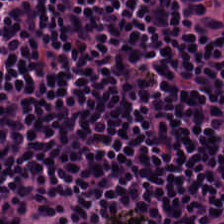Hematoxylin-and-eosin stained section — This field is lymphocytes.
